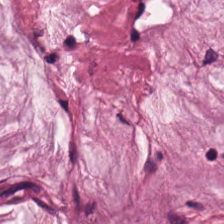H&E stain.
Tissue class: extracellular mucin.
